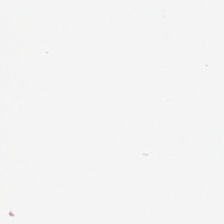Hematoxylin and eosin · 224×224 px tile. This patch shows no tissue.
